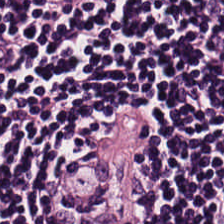Hematoxylin-and-eosin stained section. Q: What is shown in this field?
A: It is lymphocyte aggregate.
